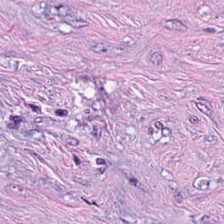Stain: H&E stain.
Preparation: FFPE.
Tile size: 224×224 pixel tile.
Tissue class: desmoplastic stroma.
